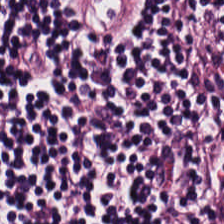FFPE · H&E. Q: What tissue is shown?
A: The field shows lymphocytic infiltrate.
